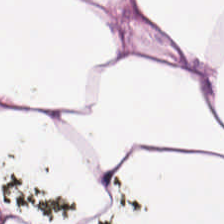This field is adipose tissue.
